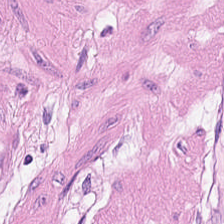Hematoxylin-and-eosin stained section; FFPE tissue section. Tissue type — muscularis.
